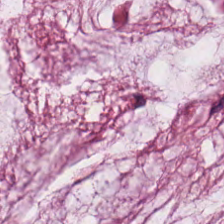H&E.
Showing extracellular mucin.
